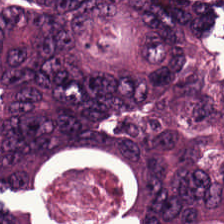The predominant tissue is colorectal adenocarcinoma epithelium.
